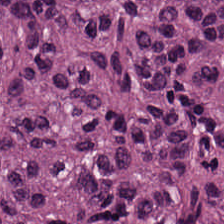H&E stain — Tissue type — colorectal adenocarcinoma.
